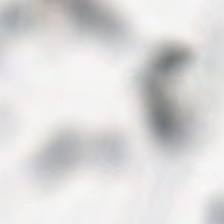Hematoxylin-and-eosin stained section. 20× equivalent magnification — No tissue present; background only.
